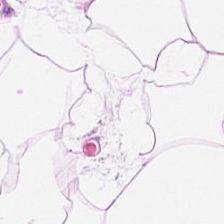Stain: hematoxylin and eosin.
Tissue: adipose.
